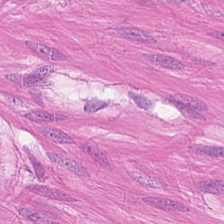Hematoxylin and eosin. The classification is muscularis.
